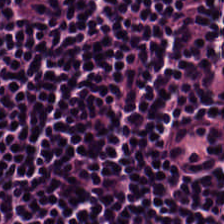Hematoxylin and eosin — This field is lymphocyte aggregate.
